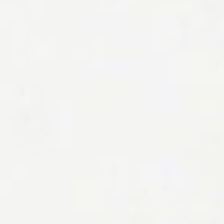FFPE · brightfield · H&E stain.
Empty field — empty background.
